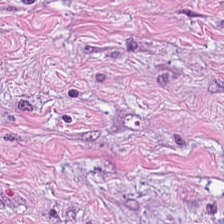Tissue type — tumor stroma.
